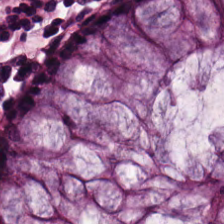H&E.
This patch shows benign colonic mucosa.
